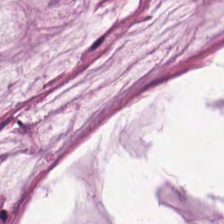H&E-stained tissue section. Whole-slide-image patch — Q: What does this patch show?
A: This is mucin.
